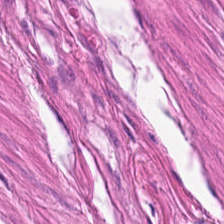Whole-slide-image patch. Hematoxylin and eosin. {"tissue_type": "smooth muscle"}
